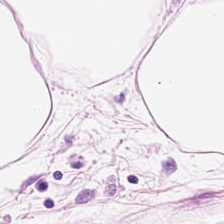H&E-stained tissue section · brightfield microscopy — Q: What tissue is shown?
A: The field shows adipocytes.
